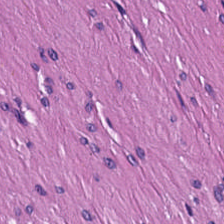Stain: H&E-stained tissue section.
Predominant tissue: muscularis.
